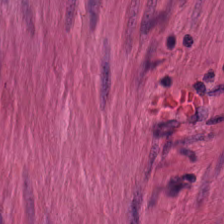Q: What is shown here?
A: This is smooth-muscle tissue.
